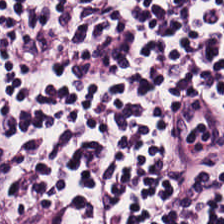Stain: hematoxylin and eosin.
Preparation: FFPE tissue section.
Tile size: 224×224 px patch.
Tissue: lymphoid infiltrate.
